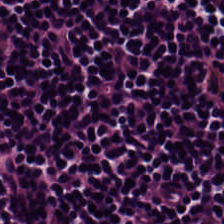Hematoxylin and eosin.
Q: What tissue is shown?
A: It is lymphocytic infiltrate.
